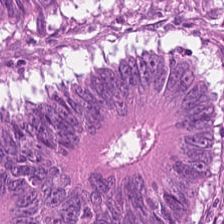H&E-stained tissue section. This patch shows malignant epithelium.
